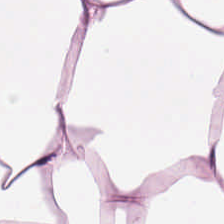Hematoxylin-and-eosin stained section. FFPE tissue section. This field is fat tissue.
